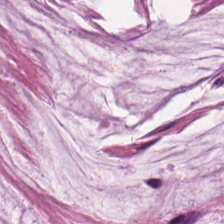H&E stain. Tissue type — mucus.
